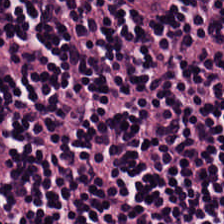H&E; 224×224 pixel tile. This patch shows lymphoid infiltrate.
